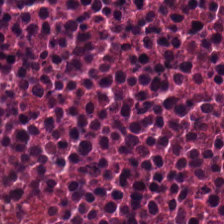Brightfield microscopy; hematoxylin-and-eosin stained section.
This field is necrotic debris.
